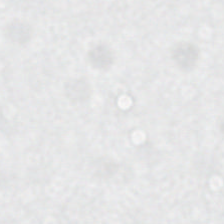H&E.
Content = no tissue.
